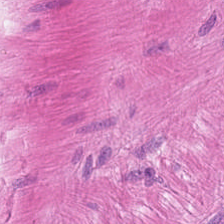Stain: hematoxylin-and-eosin stained section.
Resolution: 0.5 µm per pixel.
Acquisition: brightfield.
Tissue class: muscularis.
